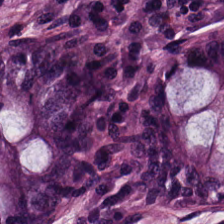Hematoxylin and eosin.
Predominantly normal colonic mucosa.
